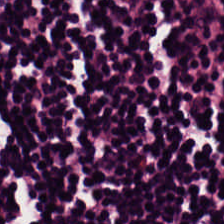Hematoxylin-and-eosin section: lymphocytic infiltrate.
